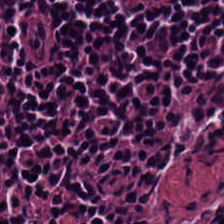FFPE tissue section · H&E stain · 0.5 microns per pixel. Q: Classify this patch.
A: The field shows lymphocytic infiltrate.
